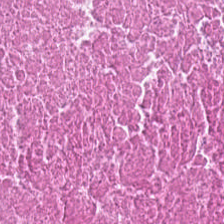Stain: H&E-stained tissue section.
Tissue type: debris.
